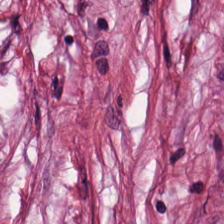Hematoxylin and eosin; 0.5 microns per pixel — This patch shows tumor stroma.
